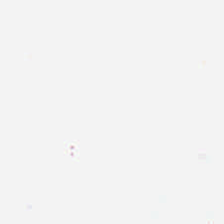H&E-stained tissue section — Background — no tissue in this field.
